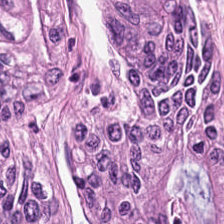0.5 µm per pixel · hematoxylin-and-eosin stained section.
Colorectal adenocarcinoma.
